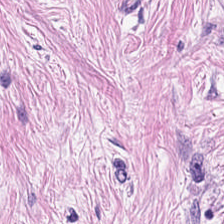Showing tumor stroma.
